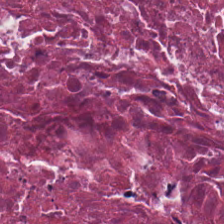H&E.
Tissue class = cellular debris.
